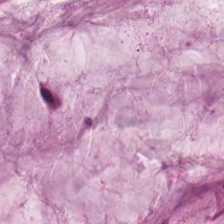Showing mucin.
